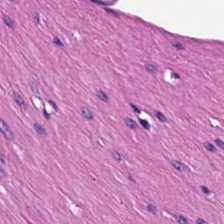Hematoxylin-and-eosin stained section.
{"tissue_type": "smooth muscle"}
